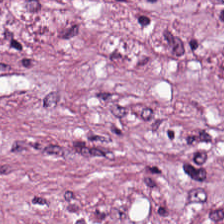Hematoxylin and eosin.
Impression — desmoplastic stroma.
